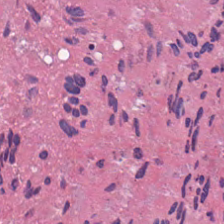Hematoxylin-and-eosin stained section — This field is cellular debris.
